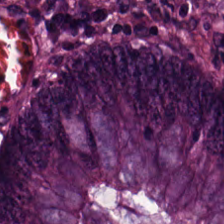H&E-stained tissue section — The tissue here is colorectal adenocarcinoma.
